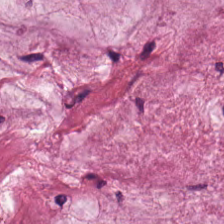Stain: H&E stain.
Classification: mucus.
